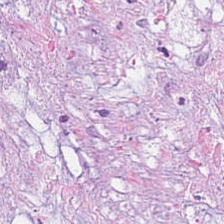H&E-stained tissue section — The tissue type is extracellular mucin.
